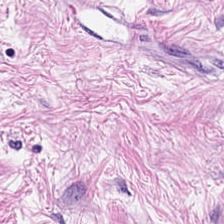H&E stain.
Histology — desmoplastic stroma.
